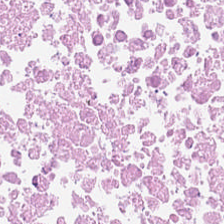Stain: H&E-stained tissue section.
Preparation: formalin-fixed paraffin-embedded section.
Classification: cellular debris.
